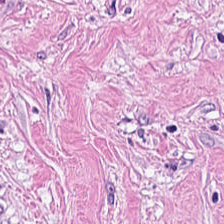Stain: hematoxylin-and-eosin stained section.
Resolution: 20× equivalent magnification.
Tile size: 224×224 px patch.
Classification: desmoplastic stroma.
